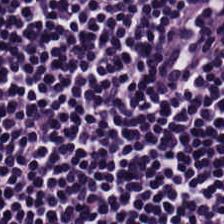Hematoxylin-and-eosin stained section. Finding — lymphoid infiltrate.
